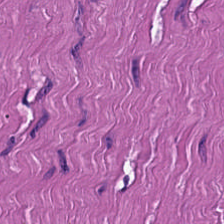Stain: H&E-stained tissue section.
Predominant tissue: smooth muscle.
